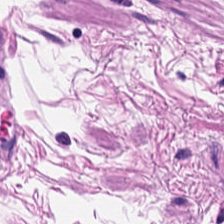Histology — muscularis.
